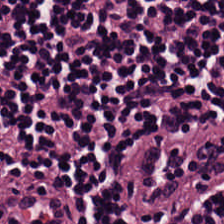Lymphocytes.
